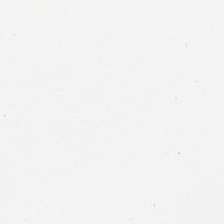H&E — {"content": "background"}
